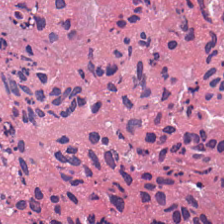Hematoxylin and eosin — The tissue here is debris.
